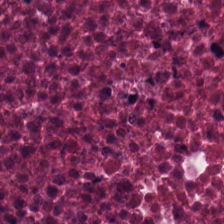The tissue here is debris.
